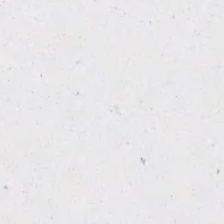Histology → background (no tissue).
